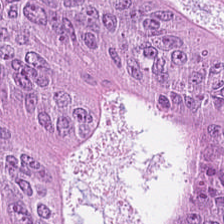224×224 px tile. 20× equivalent magnification. H&E. Histology — colorectal adenocarcinoma.
